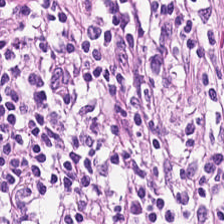The tissue here is lymphocyte aggregate.
